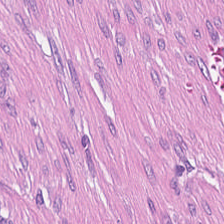224×224 px tile · H&E-stained tissue section · WSI patch. This patch shows tumor stroma.
